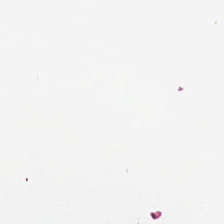Hematoxylin and eosin.
Empty background.
